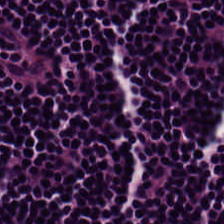Hematoxylin-and-eosin stained section. Impression → lymphocytic infiltrate.
